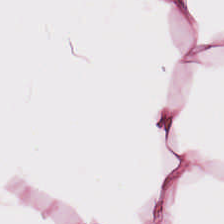{"tissue_type": "adipose"}
